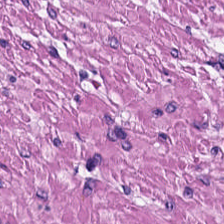Predominantly smooth-muscle tissue.
